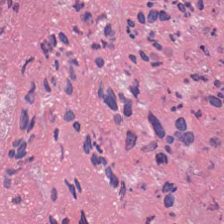Hematoxylin and eosin — The tissue class is cellular debris.
